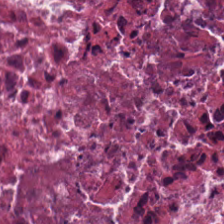H&E stain.
This field is cellular debris.
